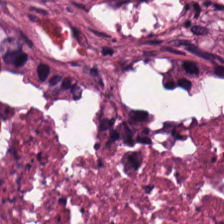FFPE; hematoxylin-and-eosin stained section — This field is debris.
